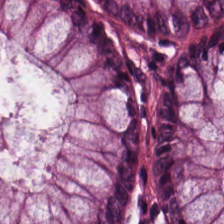Hematoxylin and eosin.
Finding — non-neoplastic colon mucosa.
